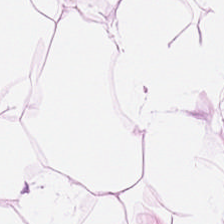H&E stain. Brightfield microscopy. 0.5 µm per pixel — Q: What does this patch show?
A: It is adipose.
